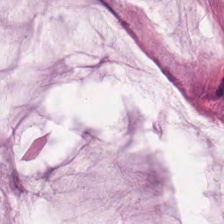H&E-stained tissue section — The predominant tissue is extracellular mucin.
